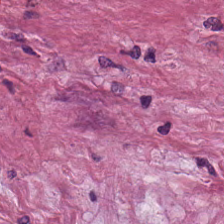Finding — tumor-associated stroma.
